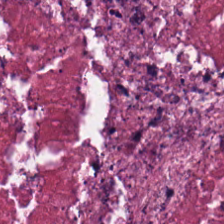0.5 µm per pixel · H&E stain. Q: What does this patch show?
A: Necrotic debris.
